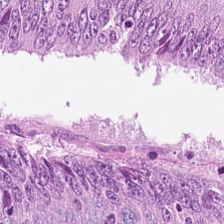H&E-stained tissue section — Showing adenocarcinoma.
